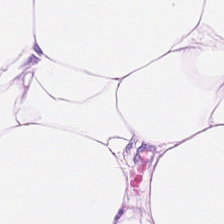WSI patch. Hematoxylin-and-eosin stained section. This patch shows adipocytes.
